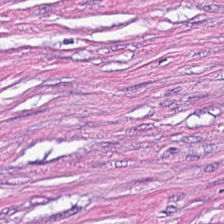Tissue class — cancer-associated stroma.
